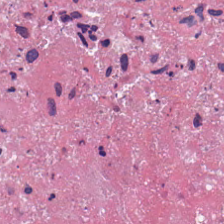224×224 px patch; H&E — Finding → cellular debris.
